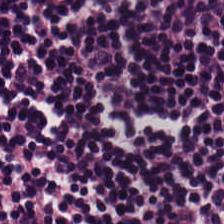H&E stain.
The tissue class is lymphocytes.
